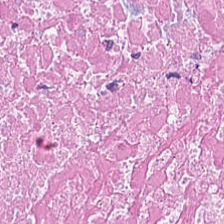Hematoxylin and eosin.
Tissue — necrotic debris.
